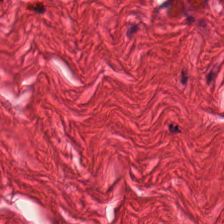Hematoxylin-and-eosin stained section. Q: What does this patch show?
A: Muscularis.
